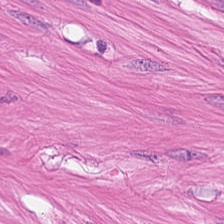H&E.
This patch shows muscularis.
